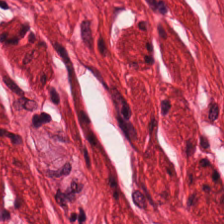Hematoxylin-and-eosin stained section.
Predominantly smooth-muscle tissue.
